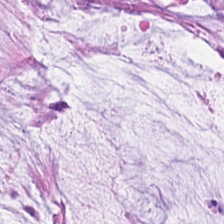H&E. Showing extracellular mucin.
